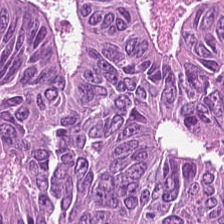Tissue type: tumor epithelium.
